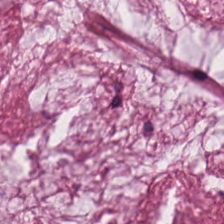0.5 µm/px · H&E stain. Tissue type — mucin.
